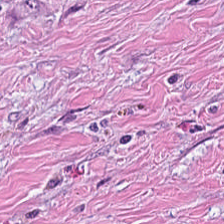Hematoxylin-and-eosin section: tumor stroma.
